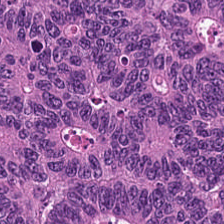H&E stain. Predominantly malignant epithelium.
